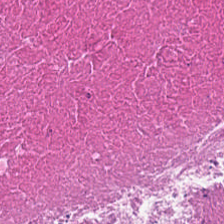H&E stain — Tissue class: cellular debris.
